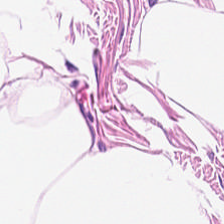H&E-stained tissue section; brightfield.
Q: What type of tissue is this?
A: The field shows adipose tissue.
